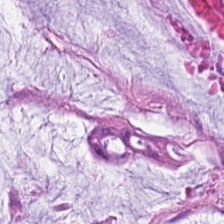The predominant tissue is mucin.
